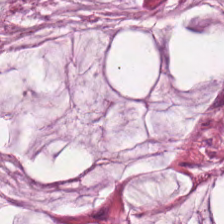Showing mucin.
